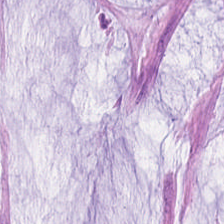Stain: H&E.
Tile size: 224×224 pixel tile.
Acquisition: whole-slide-image patch.
Classification: mucus.
